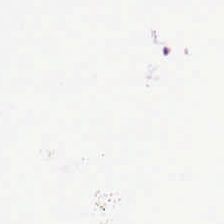Hematoxylin and eosin — The field content is empty background.
